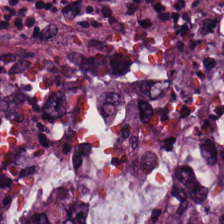H&E.
{"tissue_type": "colorectal adenocarcinoma epithelium"}
